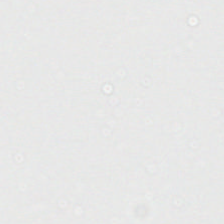Hematoxylin-and-eosin stained section; WSI patch. Background — no tissue in this field.
